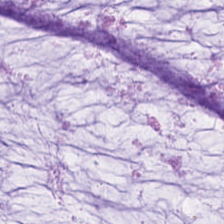H&E stain — Tissue: mucin.
